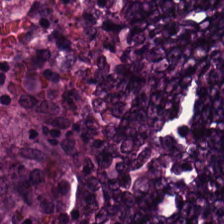H&E stain; 0.5 µm/px; FFPE tissue section.
The predominant tissue is colorectal adenocarcinoma epithelium.
